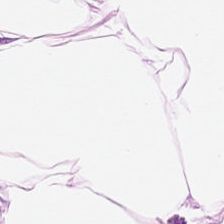H&E patch showing fat tissue.
